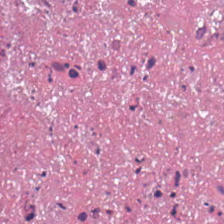H&E stain — Debris.
